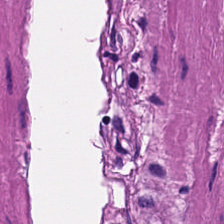Hematoxylin and eosin — Classification — smooth muscle.
